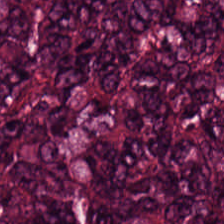H&E; 224×224 pixel tile.
This field is colorectal adenocarcinoma epithelium.
